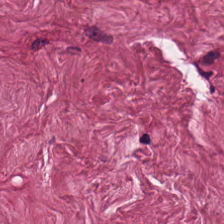Finding — tumor stroma.
